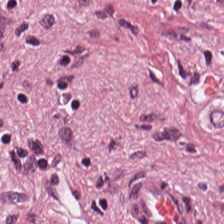Q: What is shown here?
A: Cancer-associated stroma.
